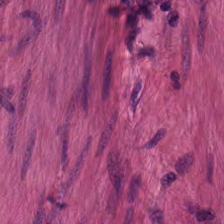Hematoxylin and eosin.
The predominant tissue is muscularis.
